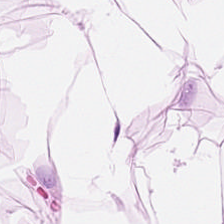H&E-stained tissue section. FFPE tissue section.
Tissue — adipose.
